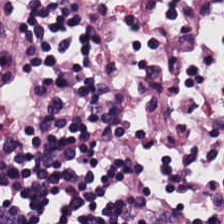Stain: hematoxylin and eosin.
Tile size: 224×224 px patch.
Resolution: 20× equivalent magnification.
Tissue type: lymphoid infiltrate.
